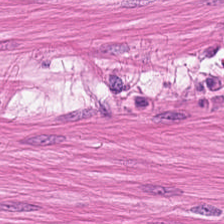H&E; brightfield microscopy.
Muscularis.
